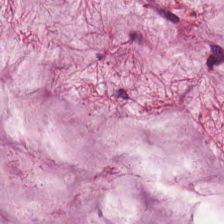Tissue class — extracellular mucin.
